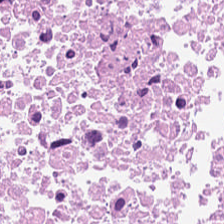H&E — necrotic debris.
